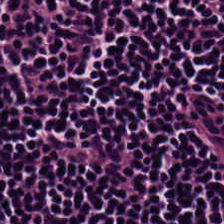H&E. Q: What is shown here?
A: The field shows lymphoid infiltrate.
